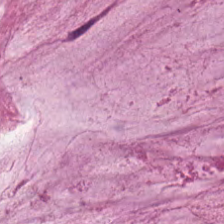Stain: hematoxylin-and-eosin stained section.
Preparation: formalin-fixed paraffin-embedded section.
Predominant tissue: mucus.
